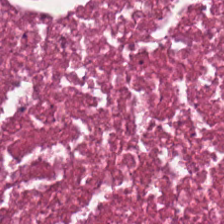Hematoxylin and eosin — Showing debris.
